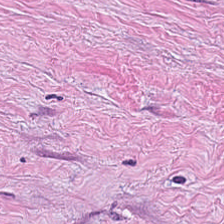H&E. Tissue class = desmoplastic stroma.
